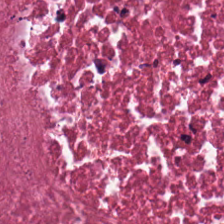Brightfield. Hematoxylin and eosin — Predominant tissue: necrotic debris.
